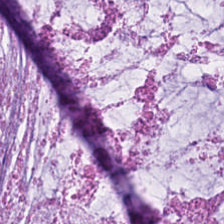This field is mucus.
